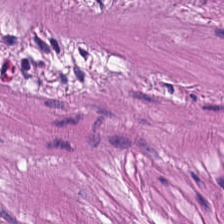Muscularis.
